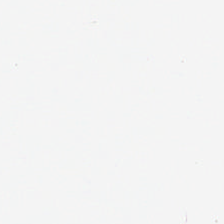Hematoxylin and eosin. FFPE tissue section. 0.5 µm per pixel — This field is background (no tissue).
